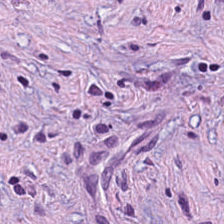Hematoxylin and eosin. 0.5 microns per pixel. The tissue here is cancer-associated stroma.
